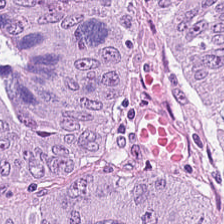H&E patch showing adenocarcinoma.
